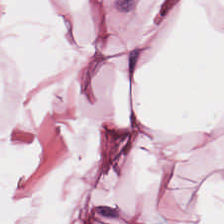H&E-stained tissue section.
{"tissue_type": "adipose tissue"}
